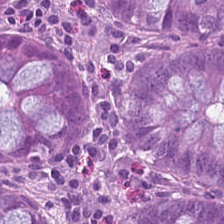{"tissue_type": "normal colonic mucosa"}
